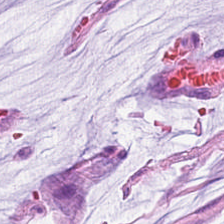FFPE tissue section. Whole-slide-image patch. H&E stain — The tissue here is mucus.
